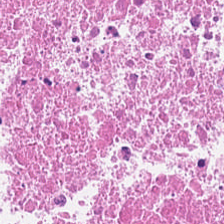Hematoxylin-and-eosin stained section.
Q: What type of tissue is this?
A: It is necrotic debris.
